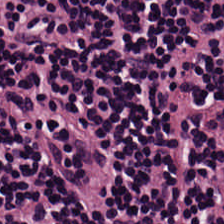Stain: hematoxylin and eosin.
Predominant tissue: lymphocytes.
